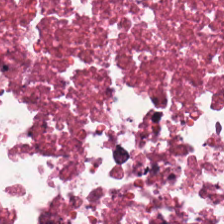Classification — debris.
